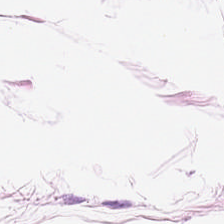H&E — {"tissue_type": "adipose"}
